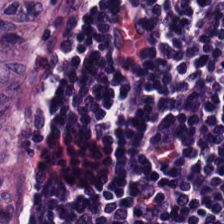H&E stain.
Classification = lymphocytic infiltrate.
